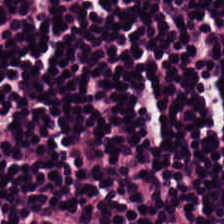0.5 µm/px. H&E-stained tissue section.
The tissue here is lymphocyte aggregate.
